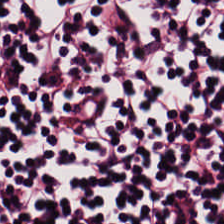Q: What tissue type is shown here?
A: The field shows lymphocytic infiltrate.
